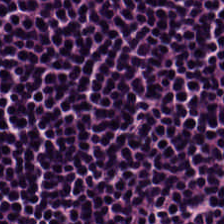H&E patch showing lymphoid infiltrate.
